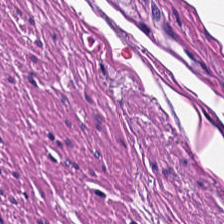0.5 microns per pixel; H&E stain — This patch shows smooth-muscle tissue.
